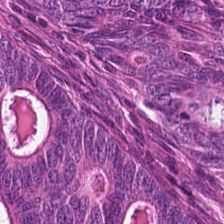H&E-stained tissue section; 224×224 px patch.
Classification = adenocarcinoma.
